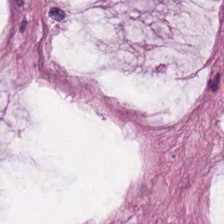20× equivalent magnification; hematoxylin and eosin.
Q: What is shown in this field?
A: It is mucus.
